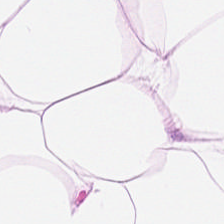Hematoxylin and eosin · 224×224 px patch · FFPE.
Predominantly adipose tissue.
